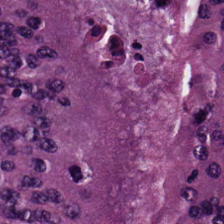Hematoxylin and eosin. Tissue class — colorectal adenocarcinoma epithelium.
